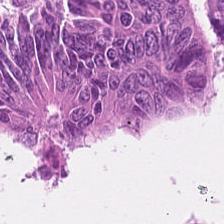H&E stain · FFPE · 224×224 px patch — Classification: adenocarcinoma.
